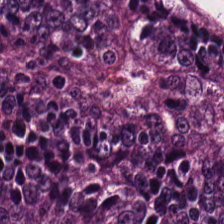H&E-stained tissue section — Q: Identify the tissue.
A: This is adenocarcinoma.
